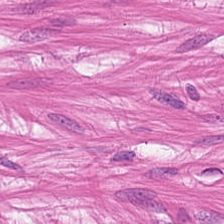The predominant tissue is muscularis.
